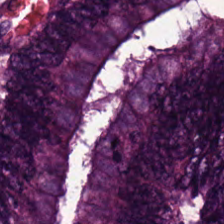H&E-stained tissue section — Q: What tissue is shown?
A: Tumor epithelium.
